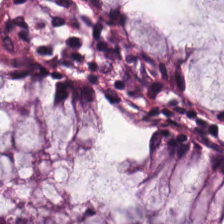H&E — {"tissue_type": "normal colonic mucosa"}
